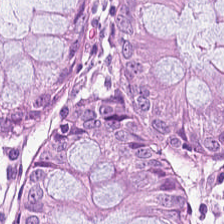H&E-stained tissue section; 224×224 px patch. Q: What does this patch show?
A: This is non-neoplastic colon mucosa.
